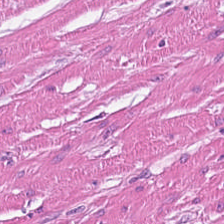H&E stain — Showing muscularis.
